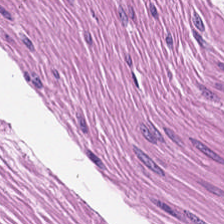Hematoxylin and eosin — The tissue here is smooth muscle.
